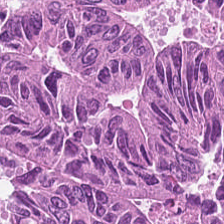Stain: H&E stain.
Tissue type: malignant epithelium.
